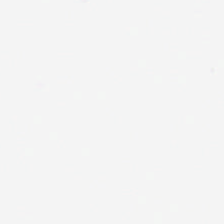H&E-stained tissue section; brightfield. Field content — no tissue.
